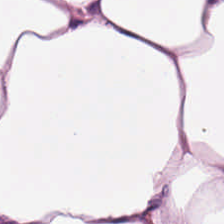Hematoxylin-and-eosin stained section.
This field is fat tissue.
